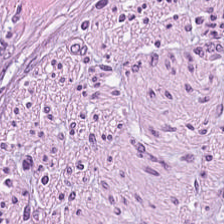H&E-stained tissue section · 0.5 µm per pixel · 224×224 px patch. Q: What tissue is shown?
A: Tumor stroma.
